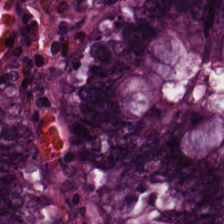H&E. {"tissue_type": "non-neoplastic colon mucosa"}
